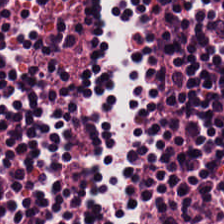Q: Identify the tissue.
A: It is lymphocytic infiltrate.
